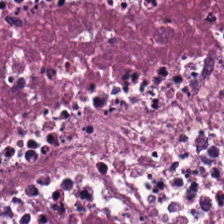Tissue = debris.
